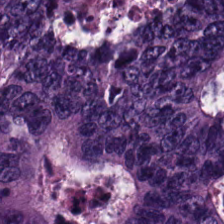Hematoxylin and eosin · 224×224 px tile · formalin-fixed paraffin-embedded section — Q: What tissue is shown?
A: It is malignant epithelium.
